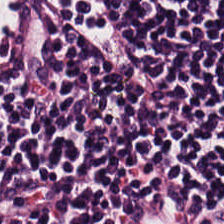Hematoxylin and eosin.
Lymphocytes.
